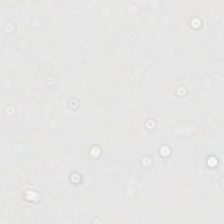Stain: H&E.
Content: background (no tissue).
